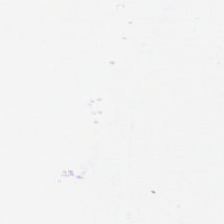Hematoxylin-and-eosin stained section · 0.5 microns per pixel. Field content = no tissue.
